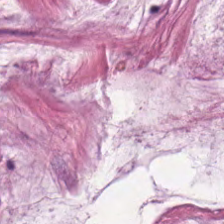Hematoxylin and eosin — Tissue — mucus.
